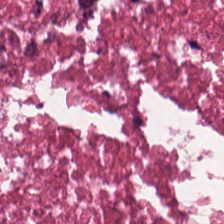Hematoxylin and eosin — Histology — debris.
